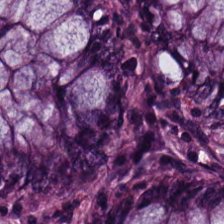H&E-stained tissue section. Finding — benign colonic mucosa.
